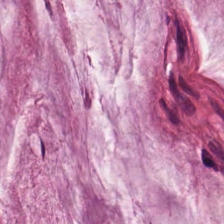WSI patch. Hematoxylin-and-eosin stained section. Formalin-fixed paraffin-embedded section.
Histology — mucus.
